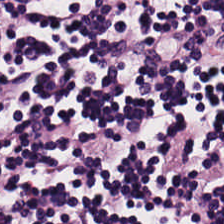Formalin-fixed paraffin-embedded section. Hematoxylin-and-eosin stained section.
Finding — lymphocytes.
